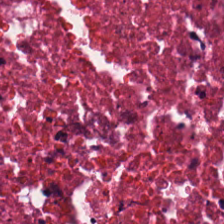Stain: H&E-stained tissue section.
Tissue class: debris.
